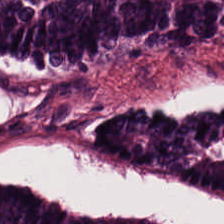224×224 px patch · hematoxylin and eosin.
Predominant tissue — malignant epithelium.
